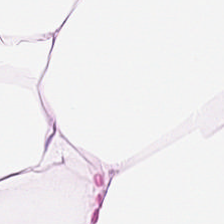Hematoxylin-and-eosin stained section. Showing adipocytes.
